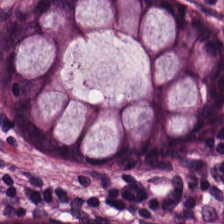H&E patch showing non-neoplastic colon mucosa.
